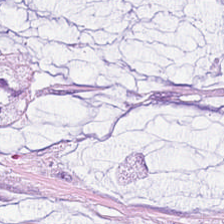Q: What is shown here?
A: The field shows mucin.
